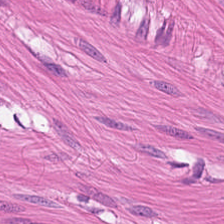Brightfield microscopy; H&E stain.
{"tissue_type": "smooth muscle"}
